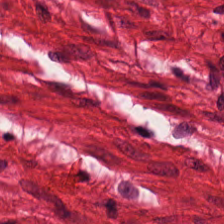Brightfield · hematoxylin and eosin · 224×224 pixel tile — Finding → smooth-muscle tissue.
